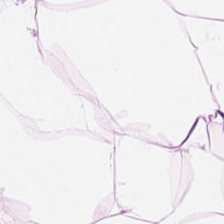The tissue type is fat tissue.
